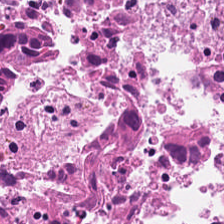H&E stain; formalin-fixed paraffin-embedded section — Histology → debris.
